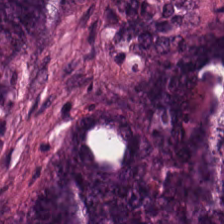Predominantly colorectal adenocarcinoma epithelium.
